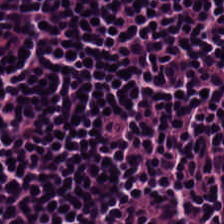Hematoxylin and eosin.
Q: Identify the tissue.
A: It is lymphocyte aggregate.
